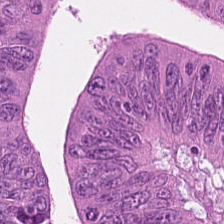Stain: hematoxylin-and-eosin stained section.
Tissue class: adenocarcinoma.
